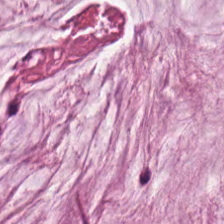0.5 µm/px. Whole-slide-image patch. H&E-stained tissue section. The tissue here is mucus.
